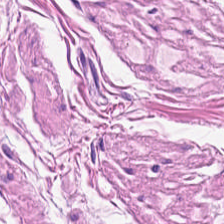0.5 microns per pixel. H&E.
Predominantly muscularis.
